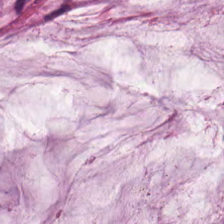Extracellular mucin.
